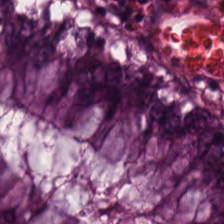20× equivalent magnification; H&E-stained tissue section — Histology → normal colon mucosa.
